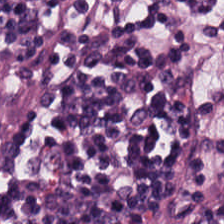Q: What tissue is shown?
A: This is lymphocytes.
